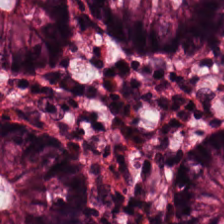224×224 pixel tile · H&E · FFPE. The tissue type is non-neoplastic colon mucosa.
